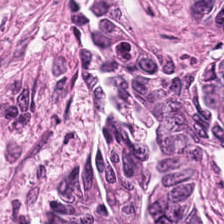224×224 pixel tile · H&E stain · FFPE.
Tissue type: adenocarcinoma.
